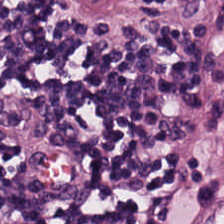Hematoxylin and eosin — Q: What is shown here?
A: Lymphocytes.
